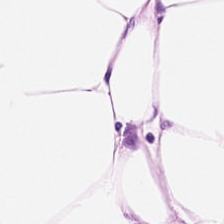H&E-stained tissue section.
Showing adipocytes.
